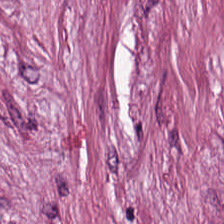Stain: H&E stain.
Preparation: formalin-fixed paraffin-embedded section.
Tissue type: desmoplastic stroma.
